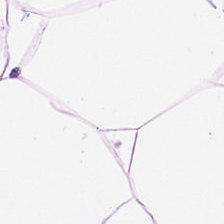Hematoxylin and eosin; FFPE; 20× equivalent magnification. Q: What tissue type is shown here?
A: This is adipocytes.
